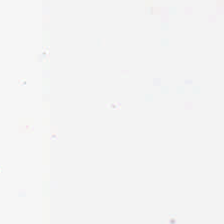Histology → no tissue.
